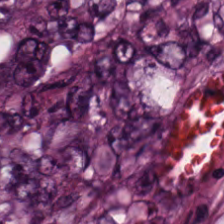Q: What type of tissue is this?
A: It is malignant epithelium.
